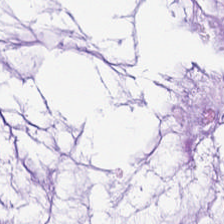Hematoxylin-and-eosin stained section. This field is mucus.
